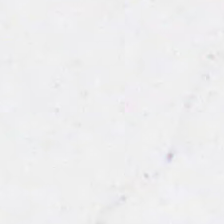H&E-stained tissue section. Empty field — background.
